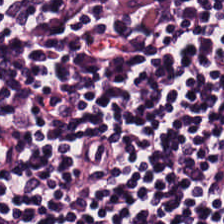Showing lymphocytic infiltrate.
